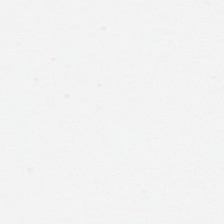H&E stain — Classification = empty background.
